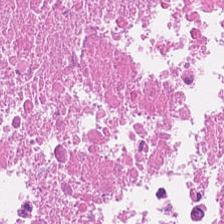0.5 microns per pixel · H&E-stained tissue section.
Tissue type — necrotic debris.
